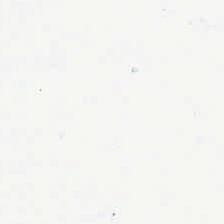H&E stain — Field content = background (no tissue).
